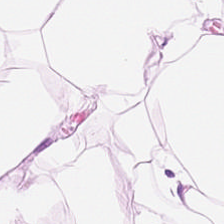Showing fat tissue.
